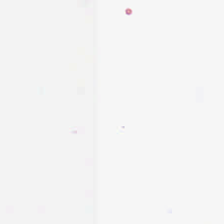The field content is background (no tissue).
